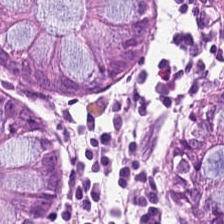Whole-slide-image patch. H&E stain — Tissue type — benign colonic mucosa.
